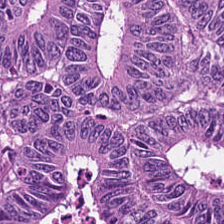Stain: H&E-stained tissue section.
Classification: adenocarcinoma.
